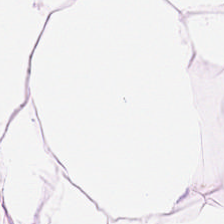H&E-stained tissue section; WSI patch. This patch shows adipocytes.
